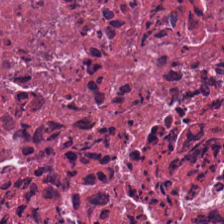Stain: hematoxylin and eosin.
Acquisition: whole-slide-image patch.
Tissue: cellular debris.
